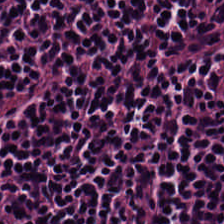H&E-stained tissue section.
Tissue class: lymphocyte aggregate.
